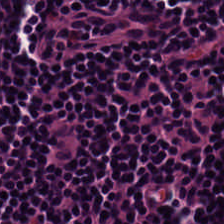This patch shows lymphocytic infiltrate.
